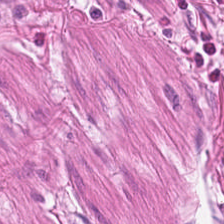FFPE tissue section · hematoxylin-and-eosin stained section.
Showing smooth-muscle tissue.
